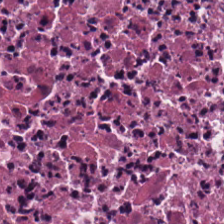Hematoxylin and eosin. Predominant tissue = cellular debris.
